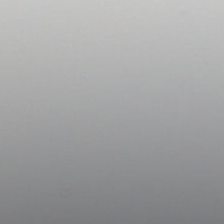Background — no tissue in this field.
